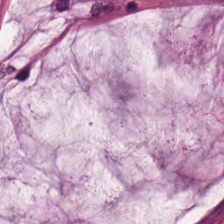H&E stain · WSI patch.
This patch shows extracellular mucin.
